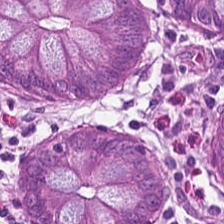0.5 µm per pixel · formalin-fixed paraffin-embedded section · hematoxylin and eosin.
Q: What is the predominant tissue type?
A: This is benign colonic mucosa.
